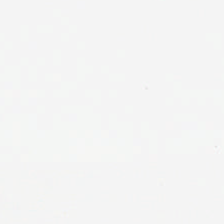Brightfield microscopy. H&E stain.
Field content: background (no tissue).
